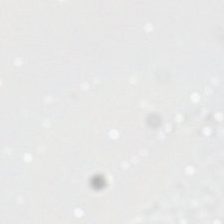H&E. 0.5 µm/px — Content — no tissue.
